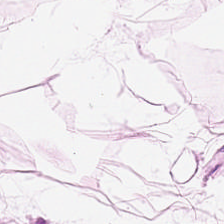Hematoxylin and eosin — The predominant tissue is adipocytes.
